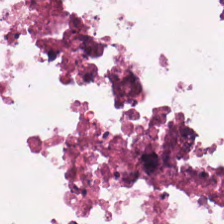224×224 px tile; hematoxylin-and-eosin stained section — This patch shows cellular debris.
